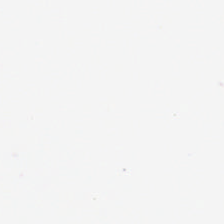H&E stain. {"content": "empty background"}
